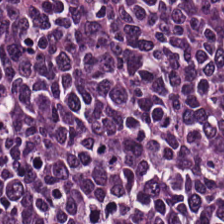The tissue class is lymphocytes.
